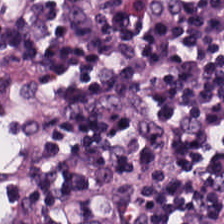Hematoxylin-and-eosin stained section. Q: Identify the tissue.
A: This is lymphoid infiltrate.
